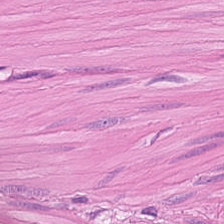Hematoxylin and eosin. Muscularis.
